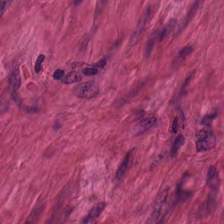H&E-stained tissue section. 0.5 µm per pixel. 224×224 pixel tile.
Q: What is shown here?
A: Muscularis.
